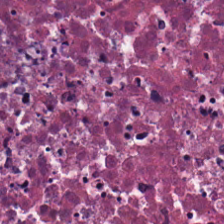Tissue: cellular debris.
